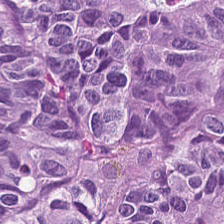Impression → malignant epithelium.
